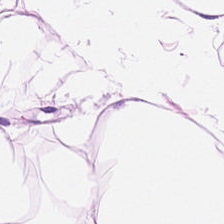Classification — adipose tissue.
